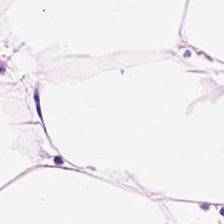Stain: hematoxylin-and-eosin stained section.
Tile size: 224×224 px tile.
Predominant tissue: fat tissue.
